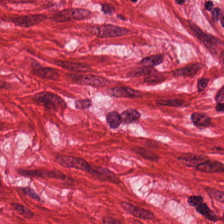The tissue type is muscularis.
